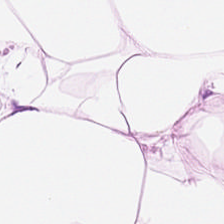Finding → adipocytes.
